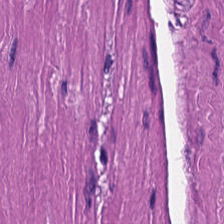H&E-stained tissue section — Predominant tissue = smooth muscle.
